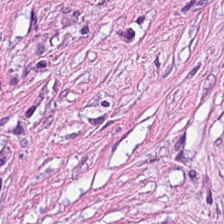FFPE · H&E — {"tissue_type": "desmoplastic stroma"}
